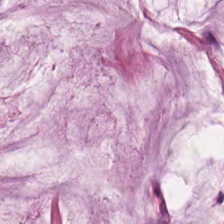Q: Identify the tissue.
A: It is mucus.
